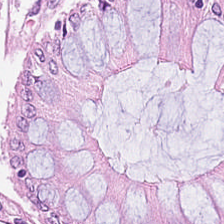H&E — The tissue type is normal colon mucosa.
